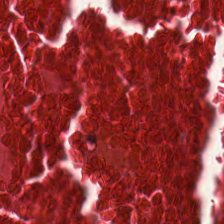224×224 px tile; 0.5 µm/px; hematoxylin and eosin.
Finding → cellular debris.
